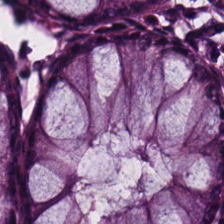Hematoxylin-and-eosin stained section. Finding — normal colon mucosa.
